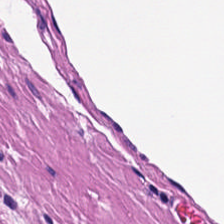The tissue is smooth-muscle tissue.
